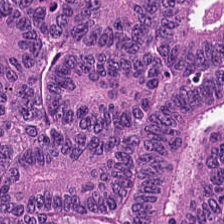H&E stain · 0.5 microns per pixel. The predominant tissue is malignant epithelium.
